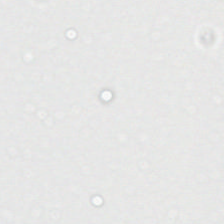Stain: H&E stain.
Classification: background.
